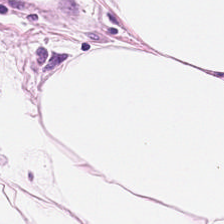H&E-stained tissue section — This patch shows adipocytes.
